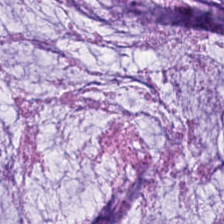H&E-stained tissue section showing extracellular mucin.
